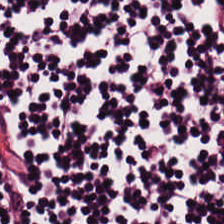Hematoxylin-and-eosin stained section.
Lymphocytes.
